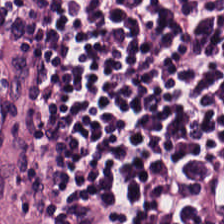H&E stain · whole-slide-image patch.
Q: What is shown in this field?
A: It is lymphocyte aggregate.
